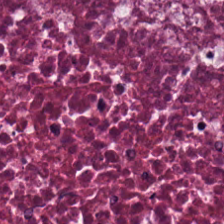H&E stain. 0.5 microns per pixel — The tissue is necrotic debris.
